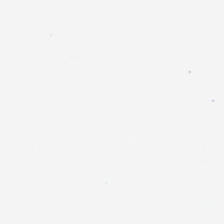FFPE tissue section; H&E.
Background.
